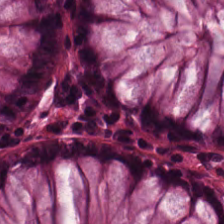H&E-stained section; the field shows normal colon mucosa.
